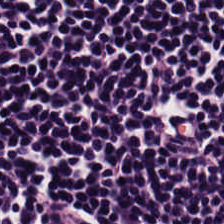Stain: H&E stain.
Tissue type: lymphocytic infiltrate.
